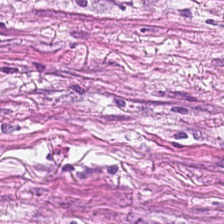Hematoxylin and eosin.
Q: What is shown here?
A: The field shows tumor stroma.
